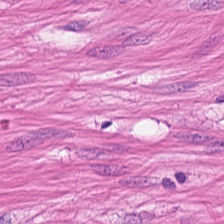H&E stain; 224×224 px tile. This patch shows smooth-muscle tissue.
